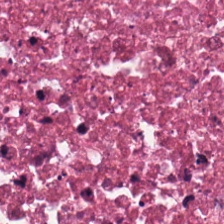H&E stain.
{"tissue_type": "necrotic debris"}
